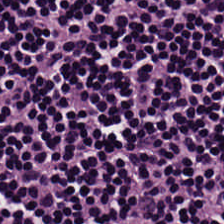H&E — Q: What is the predominant tissue type?
A: This is lymphoid infiltrate.
